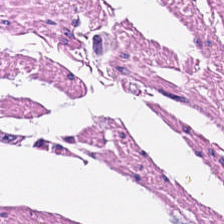Brightfield; H&E — Muscularis.
